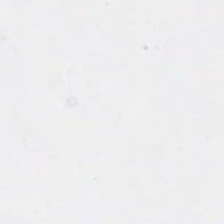Hematoxylin and eosin; 224×224 pixel tile — The classification is background.
